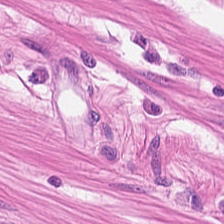The tissue type is smooth muscle.
